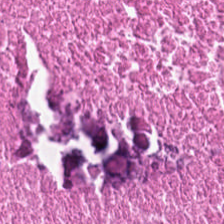Hematoxylin and eosin.
The tissue class is cellular debris.
